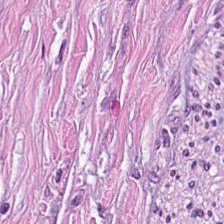H&E-stained tissue section · brightfield microscopy.
Predominantly desmoplastic stroma.
